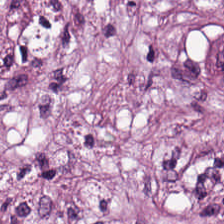This field is tumor-associated stroma.
